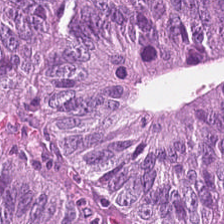Tissue type — colorectal adenocarcinoma epithelium.
